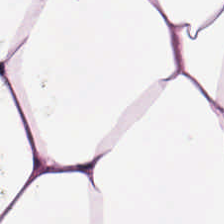Stain: H&E stain.
Tissue: adipocytes.
